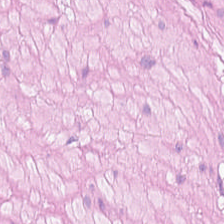H&E. This field is muscularis.
